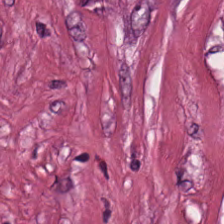Stain: H&E stain.
Tissue: cancer-associated stroma.
